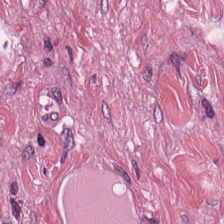224×224 pixel tile. H&E — Predominantly cancer-associated stroma.
